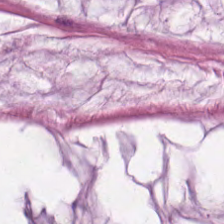This field is mucus.
